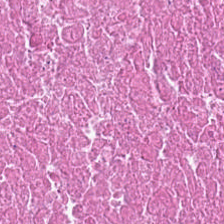Hematoxylin-and-eosin stained section; 20× equivalent magnification — {"tissue_type": "cellular debris"}
